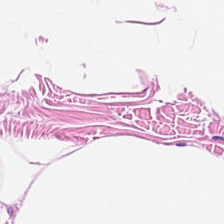0.5 µm/px · hematoxylin and eosin · FFPE tissue section.
Fat tissue.
